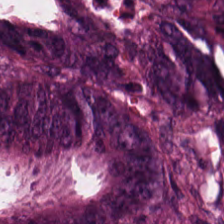Hematoxylin and eosin.
The predominant tissue is malignant epithelium.
